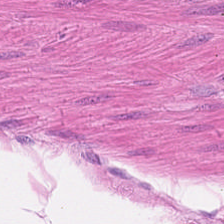H&E-stained tissue section. Tissue — smooth-muscle tissue.
